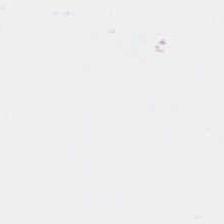H&E-stained tissue section.
Content = no tissue.
